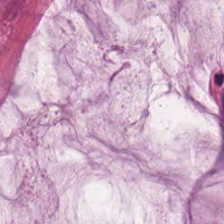Stain: H&E-stained tissue section.
Predominant tissue: mucin.
